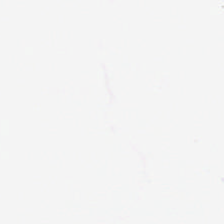224×224 px patch · hematoxylin-and-eosin stained section · 0.5 microns per pixel.
Finding → background.
